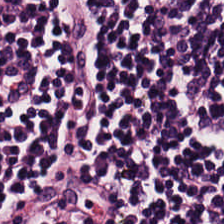FFPE. H&E-stained tissue section.
Finding — lymphoid infiltrate.
